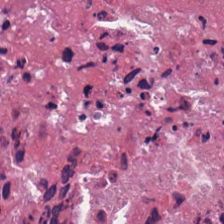Stain: H&E.
Preparation: FFPE.
Tissue type: cellular debris.
